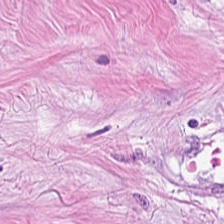H&E stain; 0.5 microns per pixel; 224×224 px tile. Q: What tissue is shown?
A: Tumor stroma.
